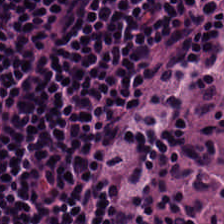Hematoxylin-and-eosin stained section. 224×224 px tile. 0.5 µm per pixel. Lymphocytic infiltrate.
